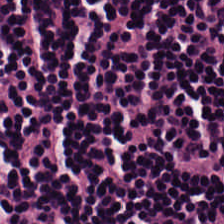H&E-stained tissue section. Tissue type: lymphocytic infiltrate.
